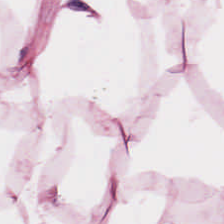Hematoxylin-and-eosin stained section · 224×224 px tile. Adipose tissue.
